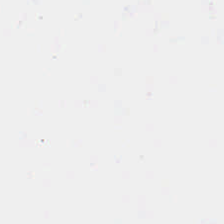Stain: H&E.
Tile size: 224×224 px tile.
Content: background.
